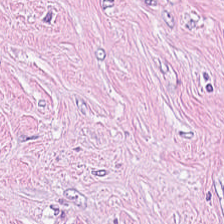Histology — desmoplastic stroma.
